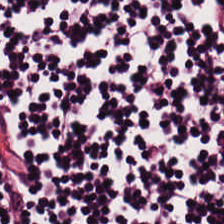0.5 µm/px · 224×224 px tile · H&E stain.
Q: Classify this patch.
A: Lymphocyte aggregate.
